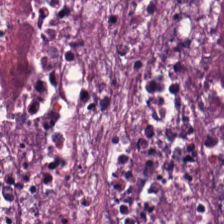Hematoxylin and eosin.
Histology — debris.
